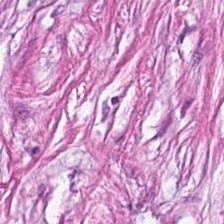Stain: H&E stain.
Tissue class: tumor stroma.
